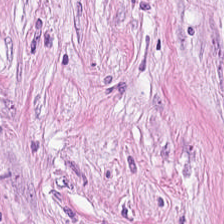Brightfield microscopy; hematoxylin-and-eosin stained section — Classification = cancer-associated stroma.
